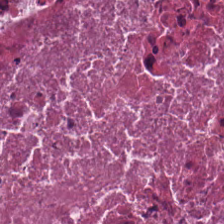Brightfield microscopy. H&E-stained tissue section. Impression — cellular debris.
